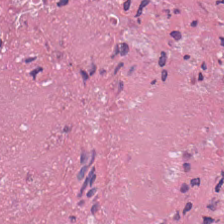H&E stain; 0.5 µm per pixel.
Q: What tissue type is shown here?
A: The field shows debris.
